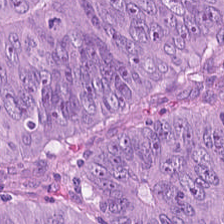H&E. Tissue = adenocarcinoma.
